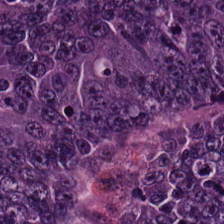H&E stain — This field is malignant epithelium.
